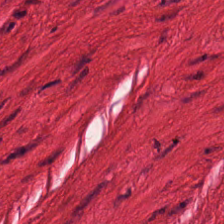This patch shows smooth-muscle tissue.
